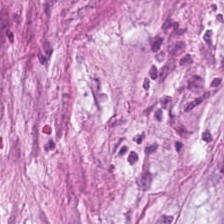Hematoxylin and eosin · FFPE.
Predominantly tumor-associated stroma.
